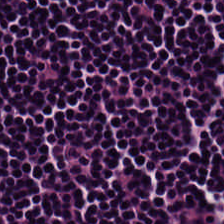H&E-stained tissue section. Tissue class: lymphocyte aggregate.
